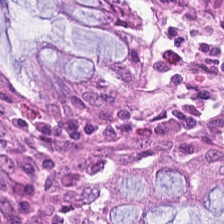H&E. Showing benign colonic mucosa.
